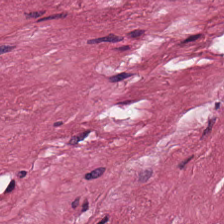Hematoxylin and eosin. Tissue — tumor stroma.
